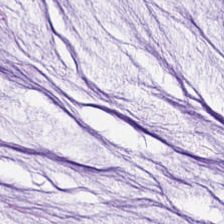Formalin-fixed paraffin-embedded section · hematoxylin-and-eosin stained section. {"tissue_type": "mucin"}
